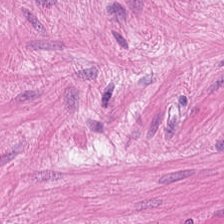H&E.
Smooth muscle.
